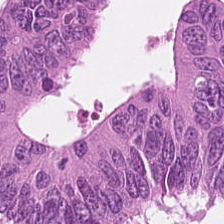H&E. Colorectal adenocarcinoma.
